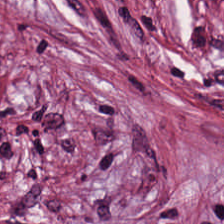Hematoxylin-and-eosin stained section — Tissue type = desmoplastic stroma.
